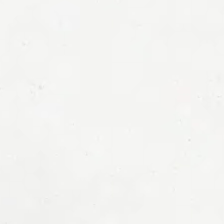Hematoxylin-and-eosin stained section. No tissue.
